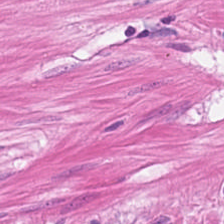Finding → muscularis.
